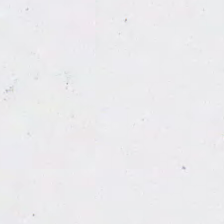Hematoxylin and eosin.
Q: What is shown in this field?
A: The field shows background.
